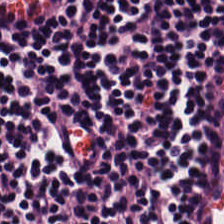H&E stain.
The tissue is lymphocytes.
